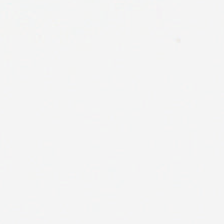This field is background (no tissue).
